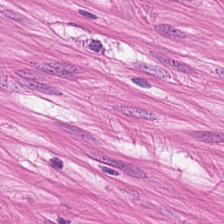{"tissue_type": "smooth muscle"}
